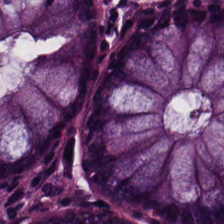The predominant tissue is normal colonic mucosa.
